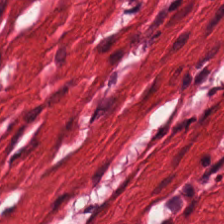The classification is smooth-muscle tissue.
